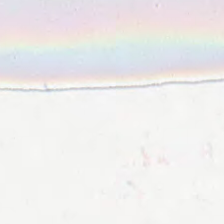H&E stain; formalin-fixed paraffin-embedded section — Q: What does this patch show?
A: The field shows no tissue.
